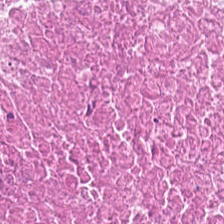H&E stain — Classification — necrotic debris.
